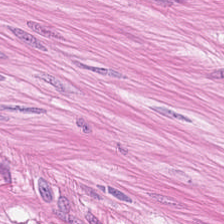The tissue class is muscularis.
